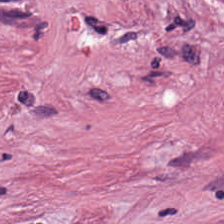H&E stain — The tissue here is desmoplastic stroma.
